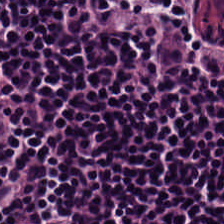Hematoxylin-and-eosin stained section. Showing lymphoid infiltrate.
